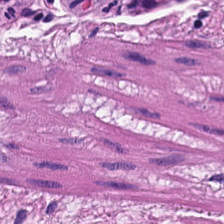H&E-stained tissue section. Predominant tissue: smooth-muscle tissue.
